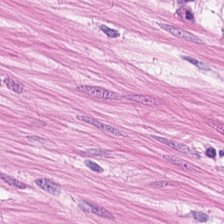H&E-stained tissue section — Q: What tissue type is shown here?
A: The field shows smooth muscle.
